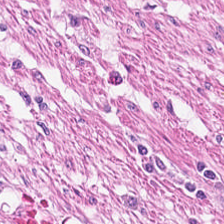H&E · 0.5 µm/px.
Classification — smooth-muscle tissue.
